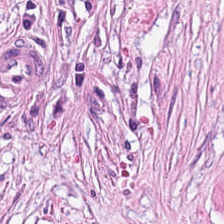Hematoxylin-and-eosin stained section.
Finding → tumor-associated stroma.
